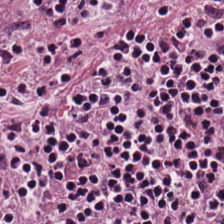Lymphocytes.
